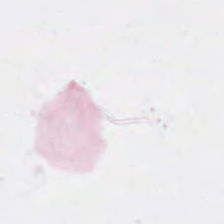Hematoxylin and eosin. Empty field — background (no tissue).
